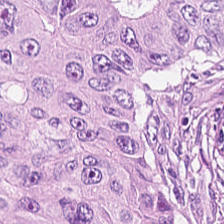H&E.
Q: What does this patch show?
A: This is malignant epithelium.
